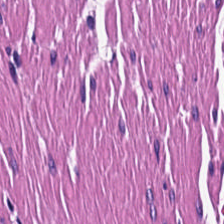H&E-stained section; the field shows smooth-muscle tissue.
